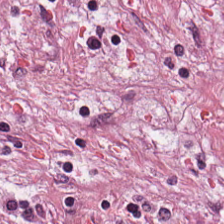224×224 pixel tile; hematoxylin and eosin. The predominant tissue is tumor stroma.
